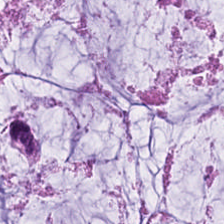Hematoxylin-and-eosin stained section.
Showing mucin.
